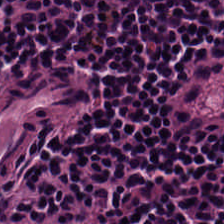Tissue — lymphocytic infiltrate.
